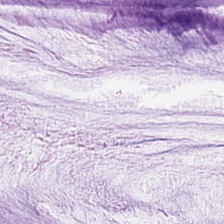H&E-stained tissue section.
Q: What tissue is shown?
A: It is mucus.
